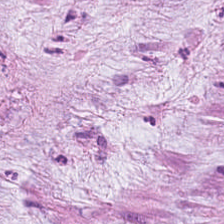Hematoxylin-and-eosin stained section · WSI patch.
Showing extracellular mucin.
